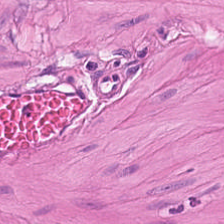Hematoxylin and eosin. Predominantly muscularis.
